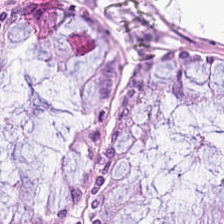Hematoxylin and eosin. Tissue type: normal colon mucosa.
